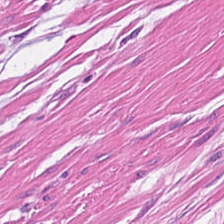H&E-stained tissue section · 0.5 µm/px. Histology → muscularis.
